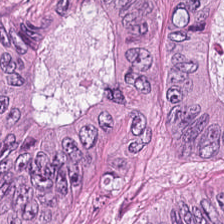Hematoxylin-and-eosin stained section · WSI patch. Tissue type = adenocarcinoma.
